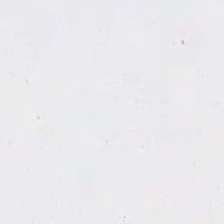Whole-slide-image patch · 0.5 microns per pixel · H&E.
Histology → background (no tissue).
